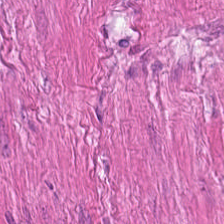H&E-stained tissue section. Finding → smooth-muscle tissue.
